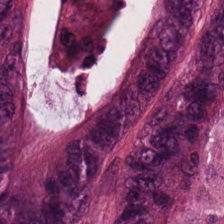Tissue — malignant epithelium.
